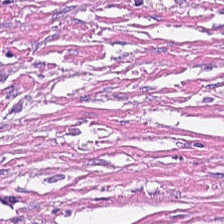224×224 pixel tile · H&E stain. {"tissue_type": "tumor-associated stroma"}
